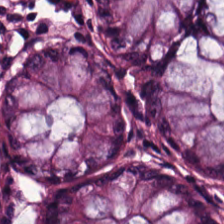Hematoxylin-and-eosin section: normal colon mucosa.
